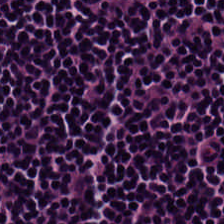Finding — lymphocytes.
